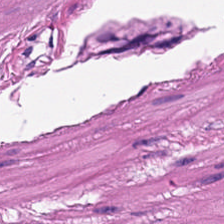Whole-slide-image patch. Hematoxylin and eosin. This patch shows smooth-muscle tissue.
